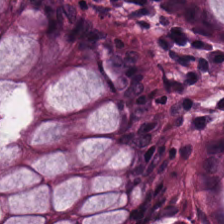H&E. Brightfield. Q: What type of tissue is this?
A: It is benign colonic mucosa.
